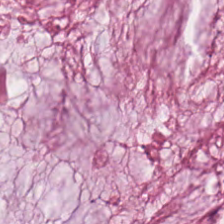Whole-slide-image patch · hematoxylin-and-eosin stained section · 0.5 microns per pixel. The tissue here is extracellular mucin.
